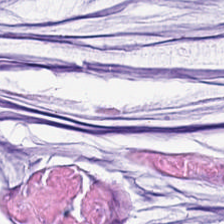0.5 microns per pixel · H&E stain · 224×224 px tile — Finding → mucin.
